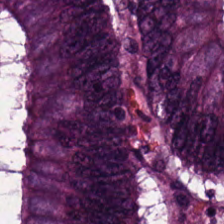Hematoxylin-and-eosin stained section; FFPE tissue section.
The tissue here is colorectal adenocarcinoma epithelium.
